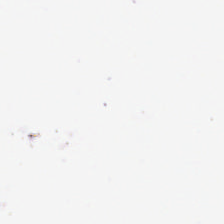Hematoxylin-and-eosin stained section. Field content: background (no tissue).
